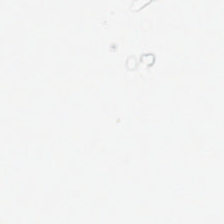Classification — no tissue.
